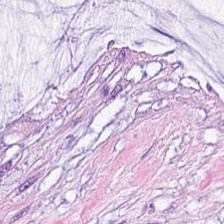Stain: H&E-stained tissue section.
Tile size: 224×224 px tile.
Preparation: FFPE.
Tissue class: extracellular mucin.
